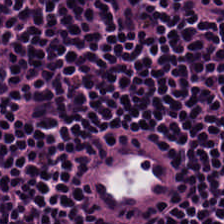224×224 pixel tile · hematoxylin and eosin.
The tissue here is lymphoid infiltrate.
